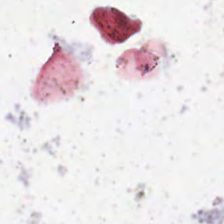H&E-stained tissue section. 0.5 microns per pixel. WSI patch — Q: What is shown here?
A: Background.
